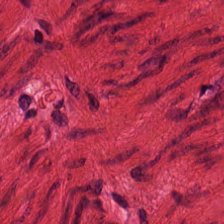20× equivalent magnification. Hematoxylin-and-eosin stained section. Impression — smooth-muscle tissue.
